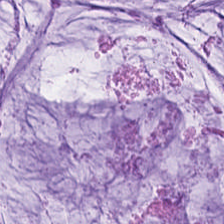Stain: hematoxylin-and-eosin stained section.
Tissue: mucus.
